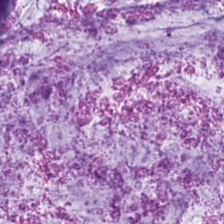H&E.
Histology → extracellular mucin.
